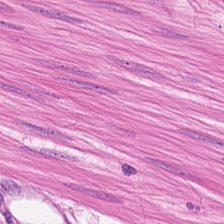Hematoxylin and eosin. 224×224 pixel tile. Showing muscularis.
